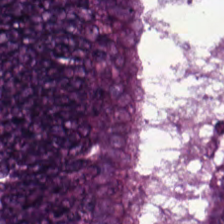H&E. Formalin-fixed paraffin-embedded section — Q: What type of tissue is this?
A: This is malignant epithelium.
